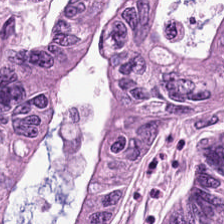H&E-stained tissue section — Q: What tissue is shown?
A: It is malignant epithelium.
